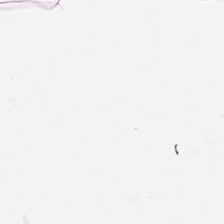Formalin-fixed paraffin-embedded section. Brightfield. Hematoxylin-and-eosin stained section. Tissue class = adipose tissue.
